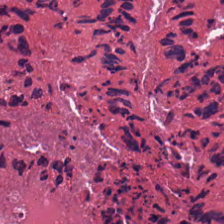Q: What is the predominant tissue type?
A: This is necrotic debris.
